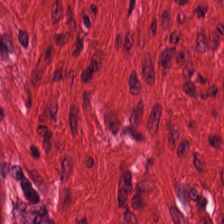H&E-stained tissue section. Brightfield microscopy. 224×224 px patch.
Showing smooth-muscle tissue.
